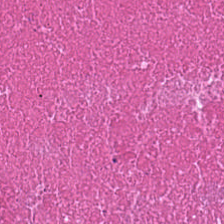Brightfield; H&E; 0.5 µm/px. {"tissue_type": "necrotic debris"}
